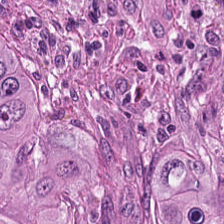H&E.
The tissue is malignant epithelium.
